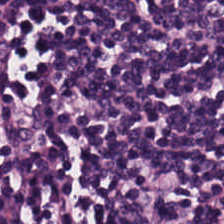H&E — Q: What tissue type is shown here?
A: Lymphocyte aggregate.
